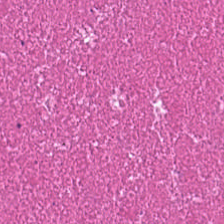224×224 px tile; hematoxylin and eosin; FFPE tissue section — {"tissue_type": "cellular debris"}
